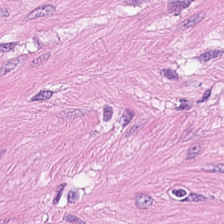Hematoxylin-and-eosin stained section.
Smooth-muscle tissue.
